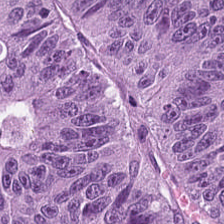Hematoxylin-and-eosin stained section; 20× equivalent magnification. Predominant tissue = malignant epithelium.
